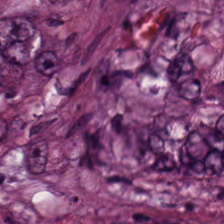Hematoxylin and eosin; whole-slide-image patch. Adenocarcinoma.
